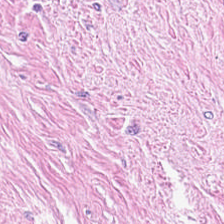Stain: hematoxylin and eosin.
Classification: desmoplastic stroma.
